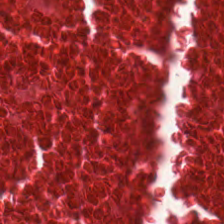This patch shows debris.
